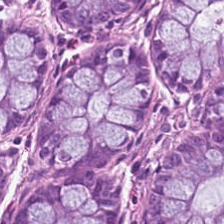FFPE. H&E stain. Classification = non-neoplastic colon mucosa.
